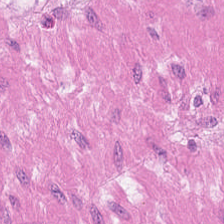Whole-slide-image patch; hematoxylin-and-eosin stained section; 224×224 px patch. Q: Classify this patch.
A: Muscularis.
